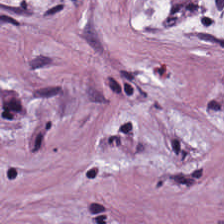H&E stain — Tissue class = tumor-associated stroma.
